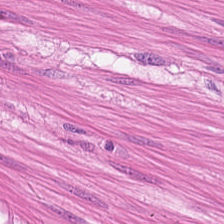Smooth-muscle tissue.
